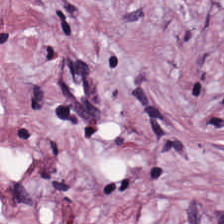H&E patch showing desmoplastic stroma.
